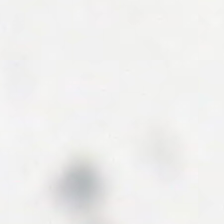FFPE tissue section. H&E stain. No tissue present; background only.
